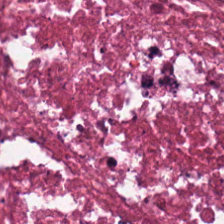FFPE. H&E-stained tissue section. Whole-slide-image patch — Tissue type = debris.
